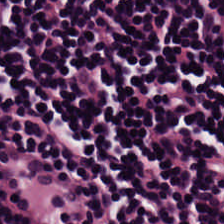H&E-stained tissue section. Showing lymphocyte aggregate.
